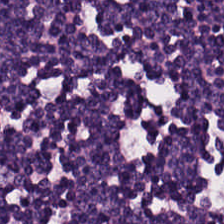224×224 pixel tile · hematoxylin-and-eosin stained section. Showing lymphocytic infiltrate.
